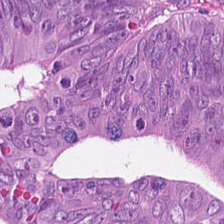Stain: hematoxylin-and-eosin stained section.
Acquisition: brightfield.
Classification: colorectal adenocarcinoma epithelium.
